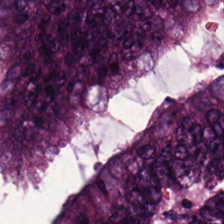Q: What is shown in this field?
A: This is adenocarcinoma.
